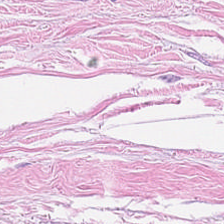Hematoxylin-and-eosin stained section. WSI patch. Formalin-fixed paraffin-embedded section — Tissue class: tumor-associated stroma.
